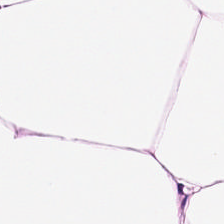Hematoxylin-and-eosin stained section.
Classification: fat tissue.
